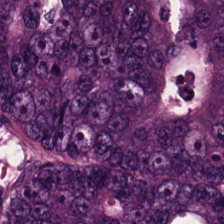H&E stain. Showing malignant epithelium.
